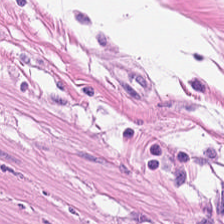H&E stain.
Tissue: muscularis.
